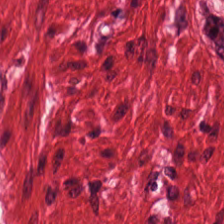H&E-stained tissue section. WSI patch. Muscularis.
